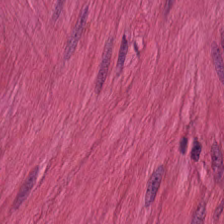Stain: H&E stain.
Tissue class: smooth muscle.
